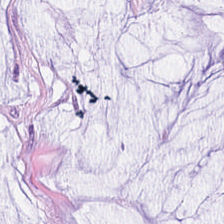H&E · brightfield microscopy · 224×224 px patch. {"tissue_type": "mucin"}
